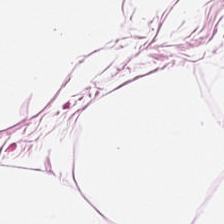H&E — Tissue class — adipose.
